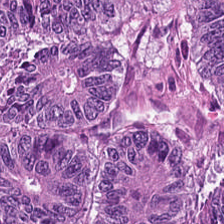FFPE · H&E stain. Showing colorectal adenocarcinoma.
